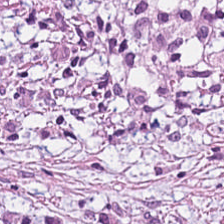H&E-stained tissue section · 224×224 px tile · 0.5 microns per pixel.
Tumor-associated stroma.
